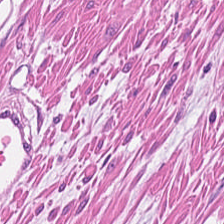Q: What type of tissue is this?
A: It is muscularis.
